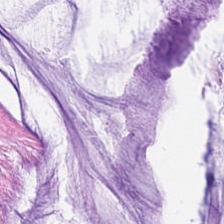Hematoxylin-and-eosin stained section. Tissue class = mucin.
